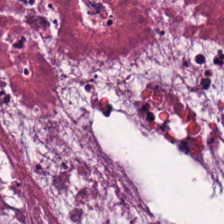H&E stain — Predominantly cellular debris.
